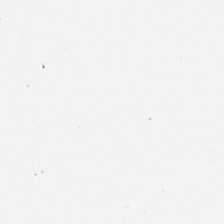0.5 microns per pixel · H&E-stained tissue section · 224×224 pixel tile.
This patch shows background.
